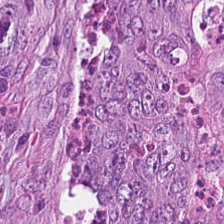H&E stain. Whole-slide-image patch — The tissue here is tumor epithelium.
